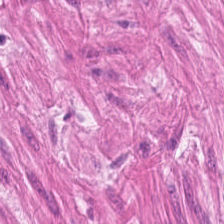Tissue class = muscularis.
